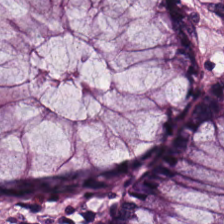Hematoxylin-and-eosin stained section — Histology → non-neoplastic colon mucosa.
